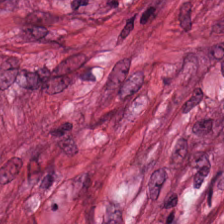Tissue — tumor stroma.
